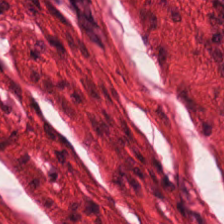Hematoxylin-and-eosin stained section. Impression → smooth-muscle tissue.
